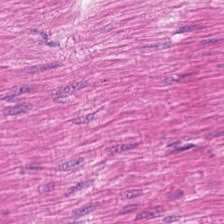H&E; FFPE tissue section; 224×224 px patch — Impression → smooth-muscle tissue.
